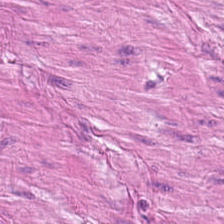H&E-stained tissue section. FFPE tissue section. Tissue type: muscularis.
